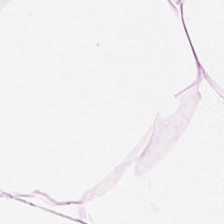H&E stain.
Q: What does this patch show?
A: Adipose tissue.
